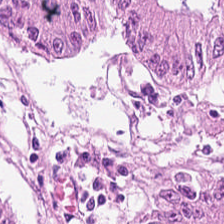H&E.
Q: What does this patch show?
A: It is malignant epithelium.
